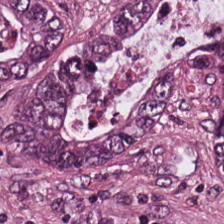Tissue = colorectal adenocarcinoma.
